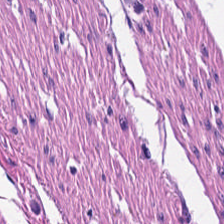Q: What tissue is shown?
A: Smooth muscle.
